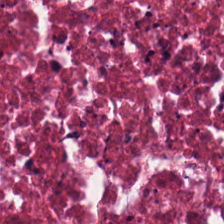224×224 pixel tile. H&E-stained tissue section — Q: What does this patch show?
A: The field shows cellular debris.
